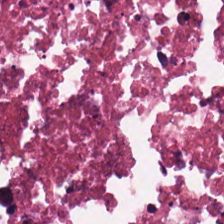H&E-stained tissue section showing debris.
